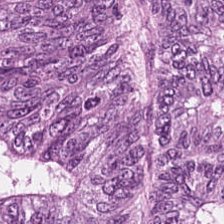Hematoxylin-and-eosin stained section. Predominantly malignant epithelium.
